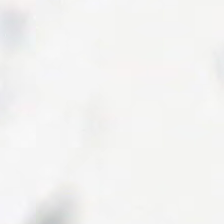Stain: H&E-stained tissue section.
Field content: no tissue.
